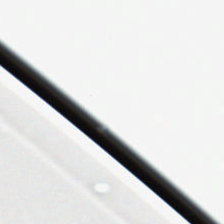Whole-slide-image patch. Hematoxylin and eosin.
The content is no tissue.
